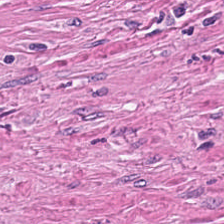Brightfield · H&E.
Tissue type = desmoplastic stroma.
